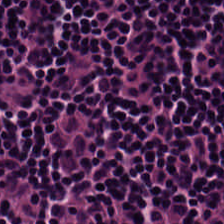Tissue — lymphoid infiltrate.
